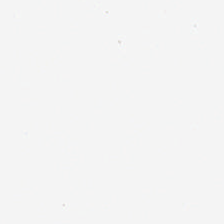Q: What does this patch show?
A: No tissue.
